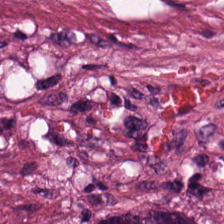H&E stain.
The tissue is debris.
